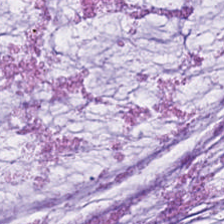Hematoxylin-and-eosin stained section.
Q: What is shown in this field?
A: Mucin.
